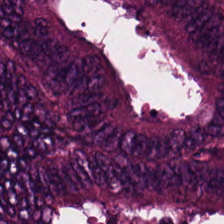0.5 microns per pixel. H&E. Tumor epithelium.
